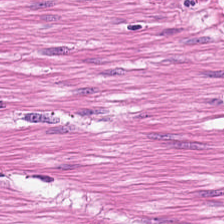The tissue type is smooth-muscle tissue.
